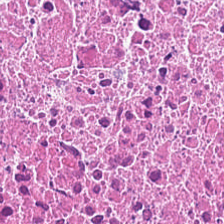Hematoxylin and eosin; 0.5 µm/px — Q: Classify this patch.
A: The field shows cellular debris.
